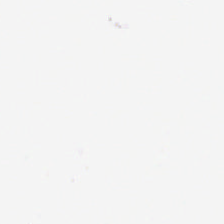Hematoxylin and eosin. Brightfield — Content = background (no tissue).
